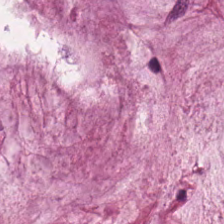Hematoxylin and eosin.
This patch shows extracellular mucin.
